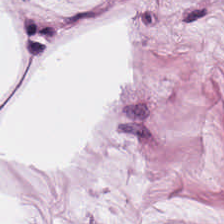H&E-stained tissue section. Q: What does this patch show?
A: This is adipose tissue.
